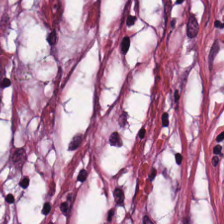Hematoxylin-and-eosin stained section. Tissue class — tumor stroma.
